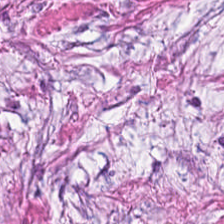Stain: H&E-stained tissue section.
Acquisition: WSI patch.
Tissue type: tumor-associated stroma.
